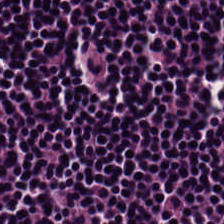Hematoxylin and eosin; 224×224 pixel tile — Tissue class = lymphoid infiltrate.
